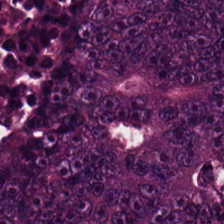Stain: hematoxylin and eosin.
Tissue: malignant epithelium.
